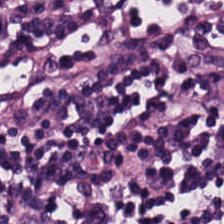H&E — Classification = lymphocytes.
